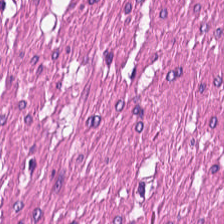WSI patch; H&E-stained tissue section; 20× equivalent magnification. Finding → smooth muscle.
